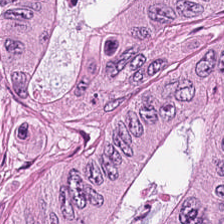Stain: H&E.
Predominant tissue: adenocarcinoma.
